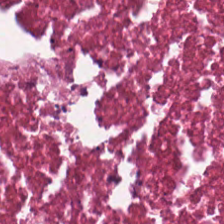Tissue: cellular debris.
